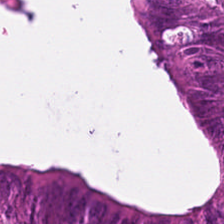H&E-stained tissue section; 224×224 pixel tile.
Q: What tissue type is shown here?
A: The field shows tumor epithelium.
